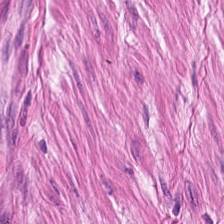Formalin-fixed paraffin-embedded section; H&E-stained tissue section. {"tissue_type": "muscularis"}
